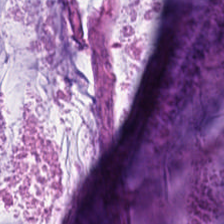H&E. 224×224 px patch. WSI patch.
Predominantly mucus.
